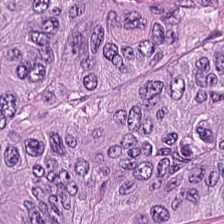H&E-stained section; the field shows adenocarcinoma.
